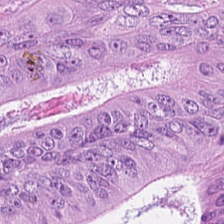FFPE tissue section; hematoxylin and eosin. The tissue here is colorectal adenocarcinoma.
